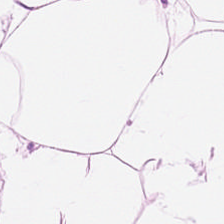Impression — adipose tissue.
